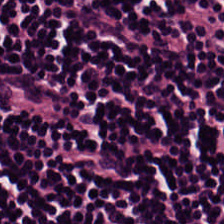H&E — Tissue = lymphocytic infiltrate.
